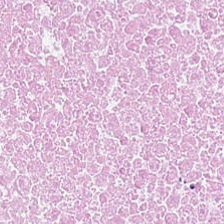224×224 pixel tile; hematoxylin-and-eosin stained section — Predominant tissue: necrotic debris.
